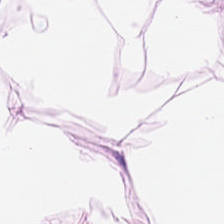H&E.
{"tissue_type": "adipose"}
